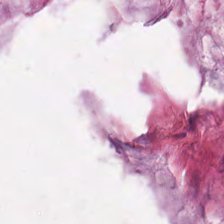224×224 px patch. H&E-stained tissue section. WSI patch. Histology — extracellular mucin.
